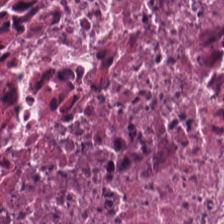H&E-stained tissue section — Predominantly debris.
